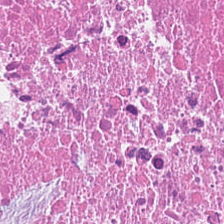Hematoxylin and eosin. Showing debris.
